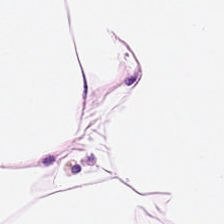H&E stain — Impression — adipose.
